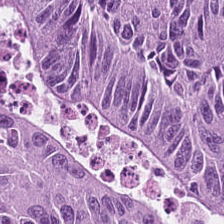H&E — adenocarcinoma.
